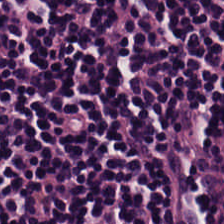224×224 px tile; H&E-stained tissue section — Lymphocytic infiltrate.
